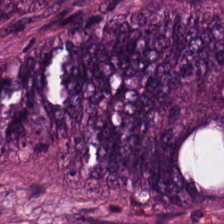H&E.
Predominantly tumor epithelium.
